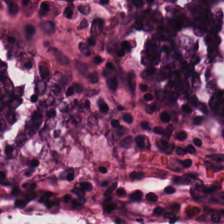Impression — benign colonic mucosa.
